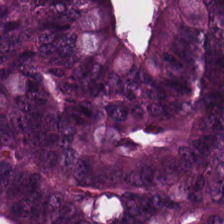H&E.
Q: What is shown here?
A: This is adenocarcinoma.
